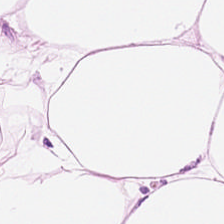H&E — adipose tissue.
